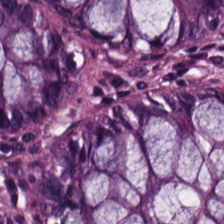H&E-stained tissue section. The classification is non-neoplastic colon mucosa.
